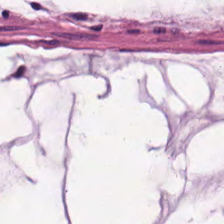Q: What is shown here?
A: This is extracellular mucin.
